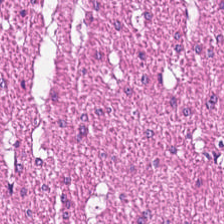Stain: H&E.
Tile size: 224×224 pixel tile.
Preparation: formalin-fixed paraffin-embedded section.
Tissue type: smooth-muscle tissue.
